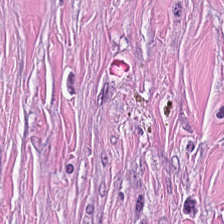Stain: H&E.
Classification: desmoplastic stroma.
